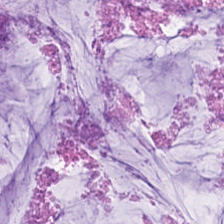Hematoxylin and eosin. 224×224 px tile. Finding — mucus.
